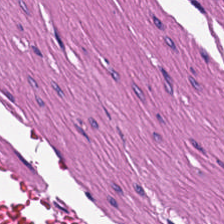H&E-stained tissue section · 224×224 pixel tile.
The tissue here is muscularis.
